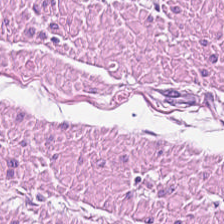Brightfield microscopy; hematoxylin-and-eosin stained section. Smooth-muscle tissue.
